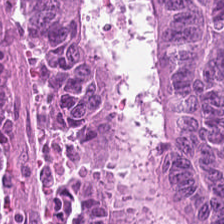Predominantly tumor epithelium.
